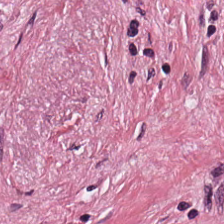Stain: H&E stain.
Preparation: formalin-fixed paraffin-embedded section.
Tissue class: cancer-associated stroma.
